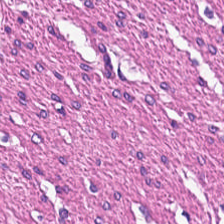Stain: H&E.
Classification: smooth-muscle tissue.
